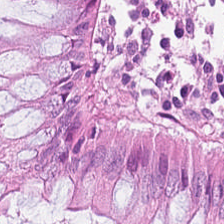H&E. Classification — normal colon mucosa.
